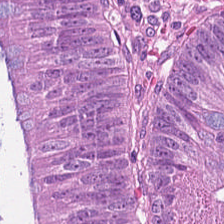H&E stain. 0.5 µm/px — Showing colorectal adenocarcinoma.
